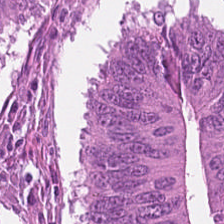Hematoxylin-and-eosin stained section · FFPE · 224×224 px patch.
Q: What is shown here?
A: The field shows colorectal adenocarcinoma.
